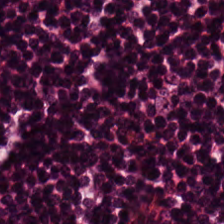H&E-stained tissue section.
Q: Classify this patch.
A: The field shows lymphocytes.
